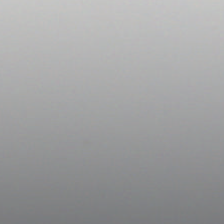H&E-stained tissue section. Q: What does this patch show?
A: This is background (no tissue).
